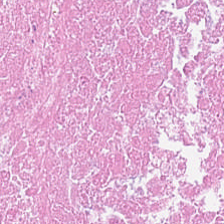Stain: H&E.
Tissue type: necrotic debris.
